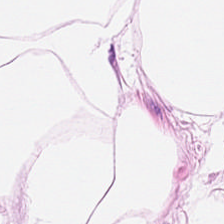Hematoxylin-and-eosin stained section. {"tissue_type": "fat tissue"}
